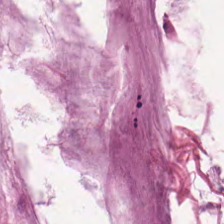H&E stain. FFPE.
Finding → mucin.
